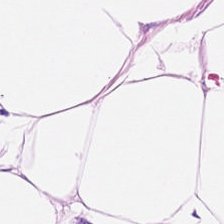H&E · brightfield microscopy · 0.5 µm/px. Impression — adipose.
